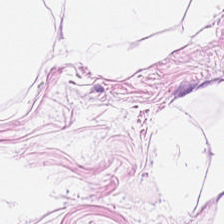224×224 px patch · H&E.
Tissue = fat tissue.
